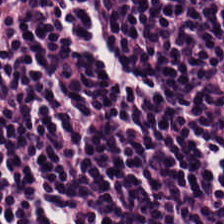H&E-stained tissue section. 224×224 px patch. WSI patch.
Q: What is the predominant tissue type?
A: It is lymphocytic infiltrate.
